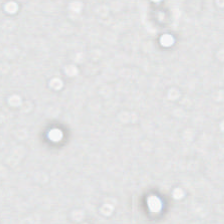This field is background (no tissue).
